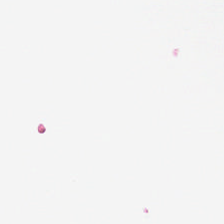Stain: H&E stain.
Content: no tissue.
